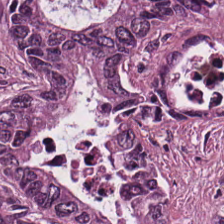H&E.
This field is tumor epithelium.
